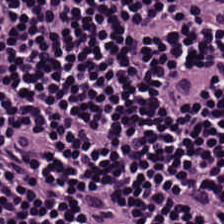224×224 px patch; brightfield microscopy; hematoxylin-and-eosin stained section — Q: What tissue is shown?
A: The field shows lymphoid infiltrate.
